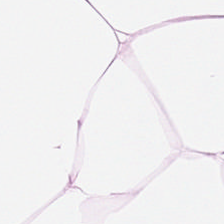Predominant tissue = adipocytes.
